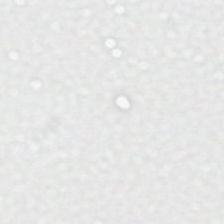Stain: H&E.
Field content: background (no tissue).
